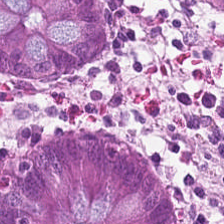Hematoxylin-and-eosin stained section.
The predominant tissue is benign colonic mucosa.
